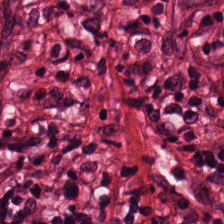Stain: H&E.
Preparation: formalin-fixed paraffin-embedded section.
Resolution: 0.5 µm per pixel.
Tissue class: tumor stroma.
